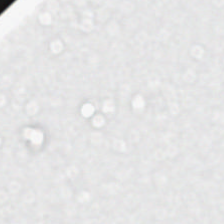Brightfield · hematoxylin and eosin · 224×224 px tile. This field is background (no tissue).
